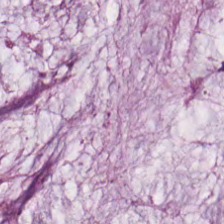H&E — Q: What does this patch show?
A: The field shows mucin.
